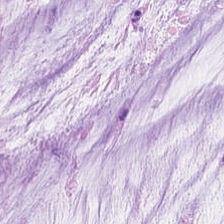The predominant tissue is extracellular mucin.
